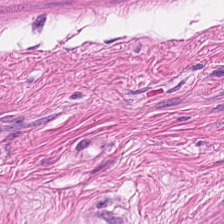H&E stain.
Tissue type = smooth-muscle tissue.
